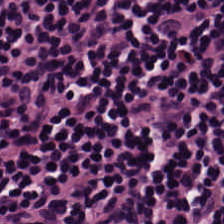Formalin-fixed paraffin-embedded section. H&E-stained tissue section — Lymphoid infiltrate.
